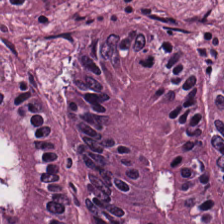Hematoxylin-and-eosin stained section.
Histology → colorectal adenocarcinoma epithelium.
